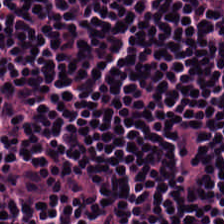H&E stain. Finding — lymphocytic infiltrate.
